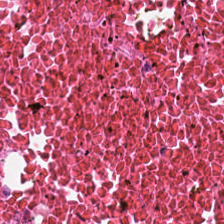H&E stain — The classification is debris.
